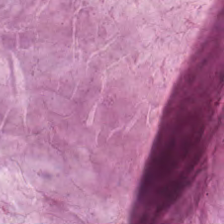Hematoxylin-and-eosin stained section. Tissue type — mucin.
